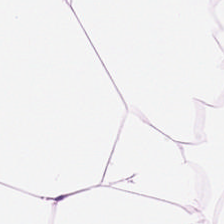H&E-stained tissue section. Showing fat tissue.
